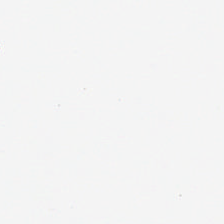Hematoxylin and eosin. Q: What does this patch show?
A: It is empty background.
